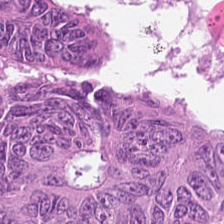Brightfield; hematoxylin and eosin; 0.5 µm/px.
The predominant tissue is malignant epithelium.
